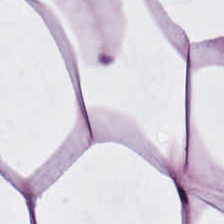H&E stain. Impression → adipose.
